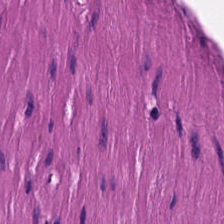H&E stain · formalin-fixed paraffin-embedded section · 0.5 µm per pixel — Q: What is shown here?
A: Smooth-muscle tissue.
